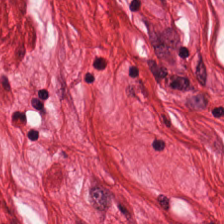Stain: H&E-stained tissue section.
Tile size: 224×224 pixel tile.
Classification: smooth-muscle tissue.
